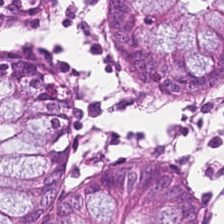Stain: hematoxylin and eosin.
Preparation: formalin-fixed paraffin-embedded section.
Tile size: 224×224 px tile.
Predominant tissue: non-neoplastic colon mucosa.
